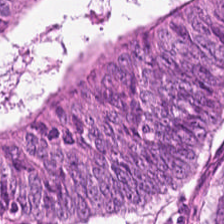FFPE. 224×224 pixel tile. H&E stain.
Finding — adenocarcinoma.
